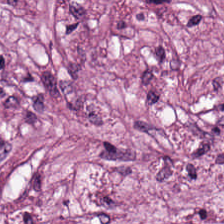Predominant tissue = cancer-associated stroma.
